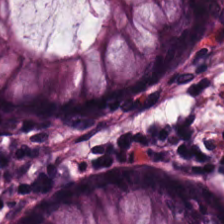H&E stain; WSI patch.
Tissue type — normal colon mucosa.
